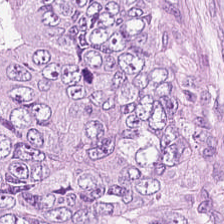H&E-stained tissue section.
Tissue class: colorectal adenocarcinoma.
